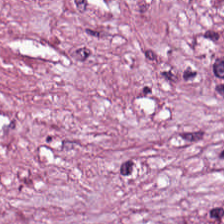H&E stain.
Showing cancer-associated stroma.
